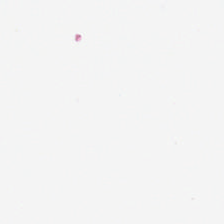H&E stain. {"content": "background (no tissue)"}
